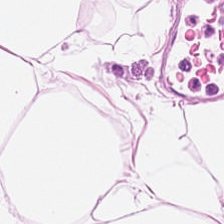H&E-stained tissue section. Showing adipose tissue.
